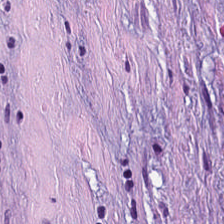Hematoxylin-and-eosin stained section; FFPE tissue section. This field is desmoplastic stroma.
